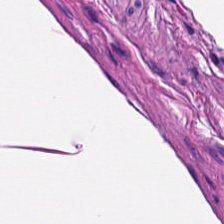Tissue — muscularis.
